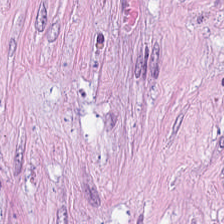Q: What tissue type is shown here?
A: This is tumor-associated stroma.
